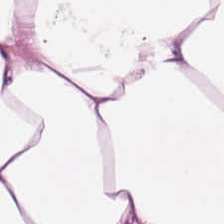20× equivalent magnification. H&E-stained tissue section.
Q: What is shown in this field?
A: It is fat tissue.
